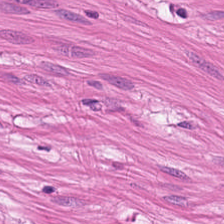H&E stain.
Finding → smooth-muscle tissue.
